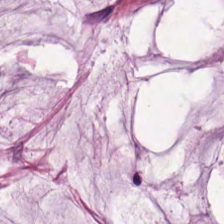H&E-stained section; the field shows mucin.
